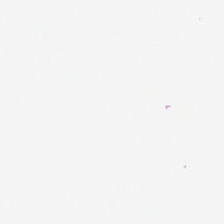H&E. Field content: background (no tissue).
